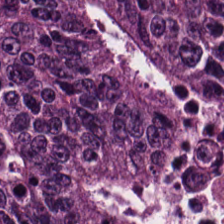Formalin-fixed paraffin-embedded section · 0.5 µm/px · hematoxylin and eosin — Adenocarcinoma.
